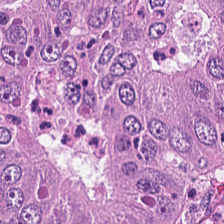Tissue type = adenocarcinoma.
